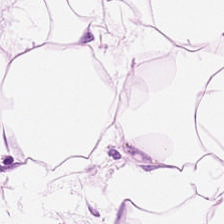H&E stain · whole-slide-image patch — Tissue type: adipocytes.
